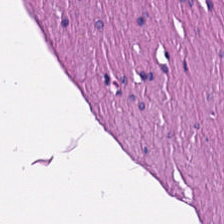H&E stain; brightfield — Tissue = muscularis.
